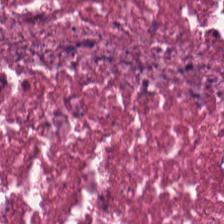Hematoxylin-and-eosin stained section. Predominant tissue — debris.
